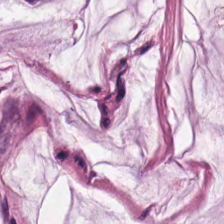H&E stain — Tissue class: mucus.
